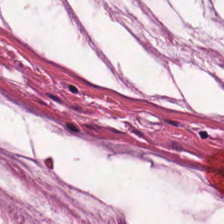Stain: hematoxylin and eosin.
Tissue class: mucus.
